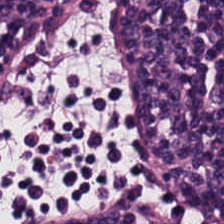FFPE · H&E — Q: What tissue type is shown here?
A: It is lymphocyte aggregate.
